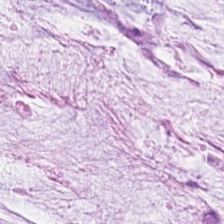Hematoxylin and eosin — Mucus.
